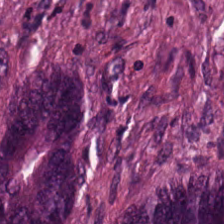H&E · formalin-fixed paraffin-embedded section — The predominant tissue is malignant epithelium.
